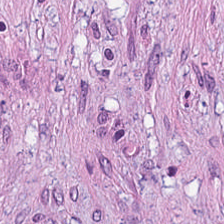H&E-stained tissue section — Tissue type — tumor stroma.
